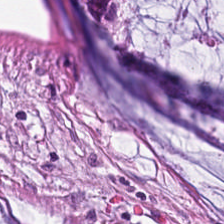FFPE tissue section; H&E.
Classification = mucin.
